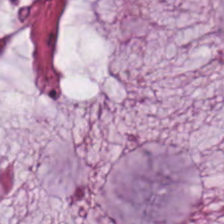20× equivalent magnification · H&E-stained tissue section · FFPE. The predominant tissue is mucin.
